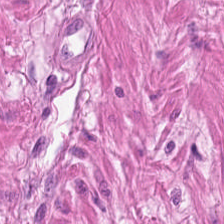H&E-stained tissue section.
Tissue type — smooth muscle.
